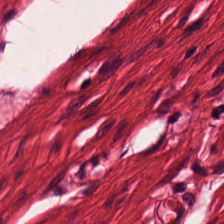Hematoxylin and eosin · 0.5 microns per pixel · formalin-fixed paraffin-embedded section.
Predominantly smooth muscle.
